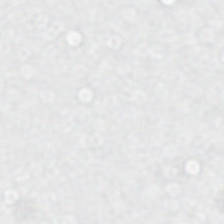Hematoxylin and eosin.
Field content = background (no tissue).
